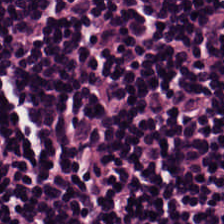H&E stain. FFPE tissue section.
Showing lymphocytes.
